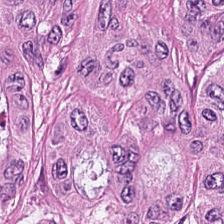H&E-stained tissue section. 0.5 µm per pixel. Q: What type of tissue is this?
A: Adenocarcinoma.
